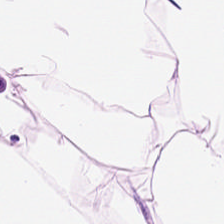H&E stain. Brightfield microscopy. Q: What is shown in this field?
A: This is fat tissue.
